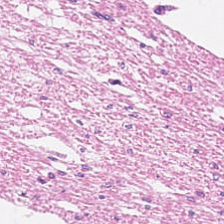Stain: H&E.
Tissue: smooth muscle.
